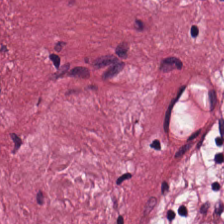Hematoxylin and eosin. Q: What tissue type is shown here?
A: This is tumor-associated stroma.
